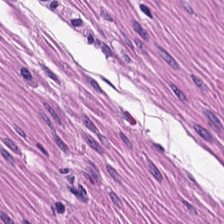Formalin-fixed paraffin-embedded section; hematoxylin-and-eosin stained section. Smooth muscle.
